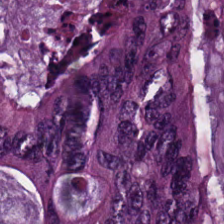H&E stain. 224×224 px patch. {"tissue_type": "colorectal adenocarcinoma epithelium"}
